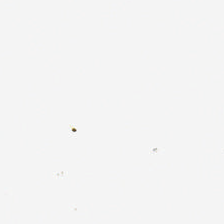Hematoxylin-and-eosin stained section.
{"content": "no tissue"}
